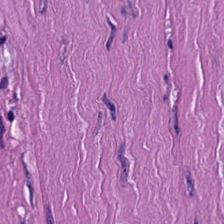Hematoxylin and eosin; 224×224 px patch; FFPE. The tissue type is smooth-muscle tissue.
